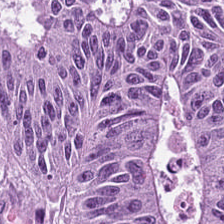Hematoxylin-and-eosin section: malignant epithelium.
